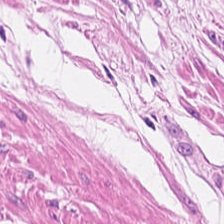Classification — smooth muscle.
